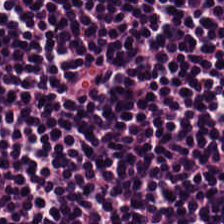Stain: H&E-stained tissue section.
Tissue class: lymphocyte aggregate.
